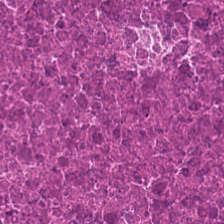H&E. This patch shows necrotic debris.
